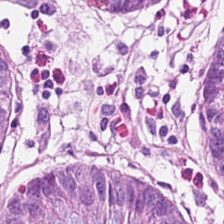Stain: H&E.
Predominant tissue: non-neoplastic colon mucosa.
